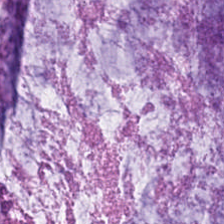Stain: H&E-stained tissue section.
Tissue type: mucus.
